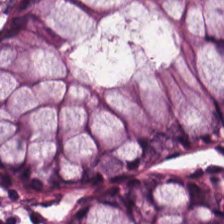0.5 µm/px; H&E-stained tissue section — The predominant tissue is normal colonic mucosa.
